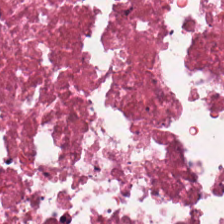Stain: hematoxylin-and-eosin stained section.
Resolution: 0.5 µm/px.
Tile size: 224×224 pixel tile.
Tissue type: cellular debris.
